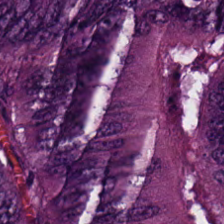Hematoxylin and eosin · 224×224 pixel tile.
Predominantly colorectal adenocarcinoma.
